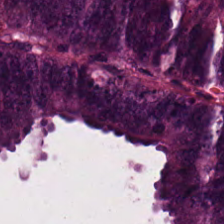Stain: H&E-stained tissue section.
Predominant tissue: colorectal adenocarcinoma.
